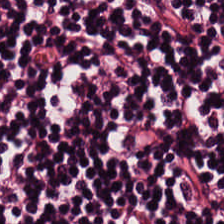0.5 µm/px. H&E stain.
Tissue: lymphoid infiltrate.
